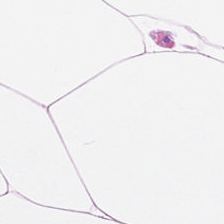Q: Identify the tissue.
A: It is adipose.
